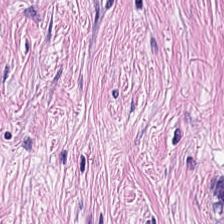Stain: hematoxylin-and-eosin stained section.
Acquisition: brightfield.
Preparation: FFPE.
Predominant tissue: tumor-associated stroma.
